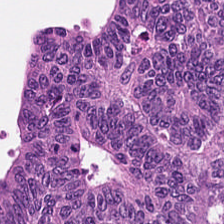Hematoxylin and eosin — This patch shows colorectal adenocarcinoma.
